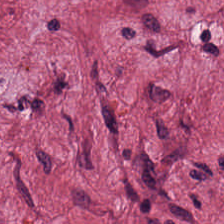Hematoxylin-and-eosin stained section. Finding — cancer-associated stroma.
